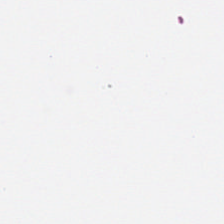Formalin-fixed paraffin-embedded section. 224×224 px tile. H&E-stained tissue section — Content — empty background.
